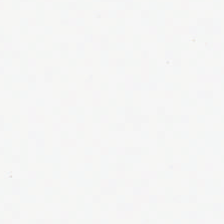Stain: H&E.
Classification: no tissue.
